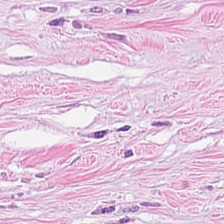Q: Classify this patch.
A: The field shows cancer-associated stroma.
